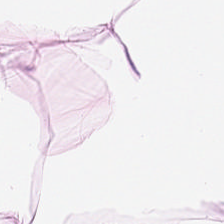Stain: hematoxylin-and-eosin stained section.
Predominant tissue: adipose.
